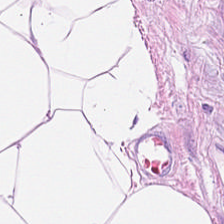H&E-stained tissue section.
Impression — adipose tissue.
